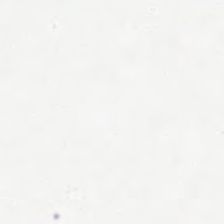Hematoxylin-and-eosin stained section — This patch shows no tissue.
